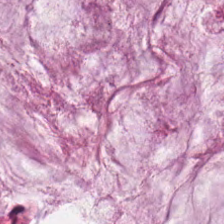Finding — mucus.
